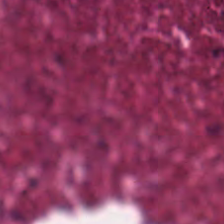Hematoxylin and eosin — Predominantly cellular debris.
